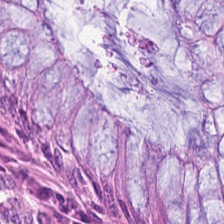Tissue — normal colon mucosa.
